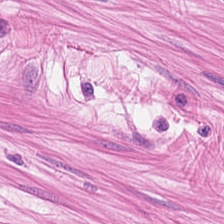H&E stain.
Predominant tissue = muscularis.
